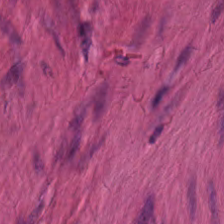224×224 pixel tile; hematoxylin-and-eosin stained section; 20× equivalent magnification — Tissue class — smooth muscle.
